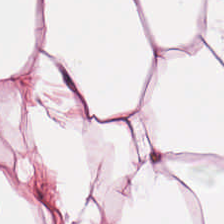Stain: hematoxylin and eosin.
Preparation: formalin-fixed paraffin-embedded section.
Classification: adipocytes.
